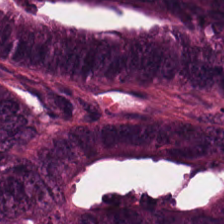H&E; 224×224 px patch. Tissue type = adenocarcinoma.
